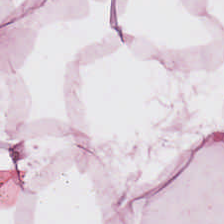Hematoxylin-and-eosin stained section.
Tissue type: adipocytes.
